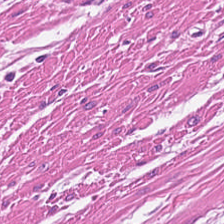The predominant tissue is smooth-muscle tissue.
